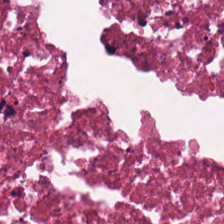224×224 px patch. Brightfield microscopy. Hematoxylin and eosin.
Histology — necrotic debris.
